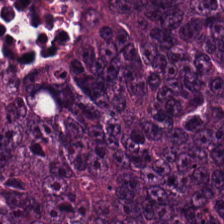H&E; 0.5 µm/px; brightfield. Predominantly adenocarcinoma.
